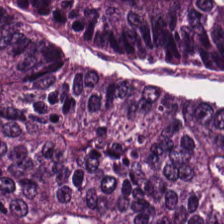H&E-stained tissue section. Finding → tumor epithelium.
